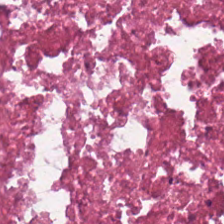H&E stain. 0.5 microns per pixel. This patch shows necrotic debris.
